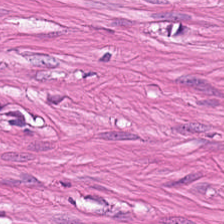20× equivalent magnification. 224×224 px tile. H&E.
Q: What is shown here?
A: Smooth-muscle tissue.
